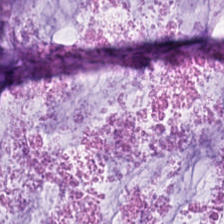FFPE tissue section. Brightfield microscopy. Hematoxylin-and-eosin stained section. This field is extracellular mucin.
